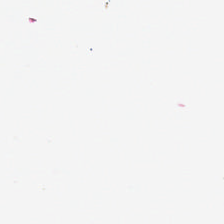H&E stain.
This patch shows no tissue.
